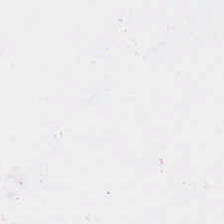224×224 px tile · hematoxylin and eosin.
No tissue present; background only.
